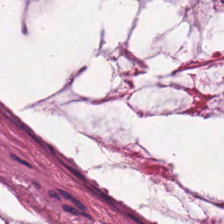H&E stain — This field is extracellular mucin.
